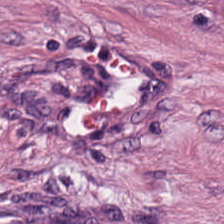H&E. 224×224 px tile. The classification is tumor stroma.
